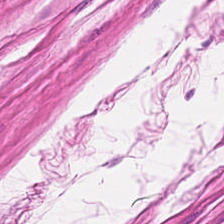H&E patch showing smooth muscle.
